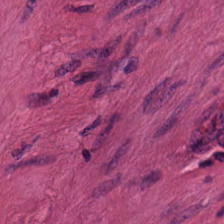Formalin-fixed paraffin-embedded section. H&E stain — Q: What tissue type is shown here?
A: It is smooth muscle.
